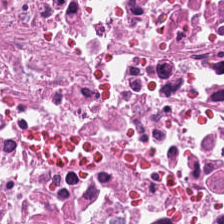224×224 px tile. 0.5 µm/px. Hematoxylin and eosin — The tissue here is debris.
